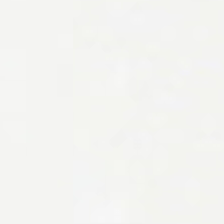Stain: H&E stain.
Classification: empty background.
